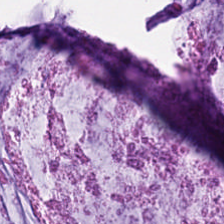Stain: H&E stain.
Tissue: mucus.
